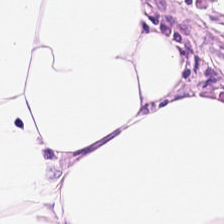H&E — Predominantly adipose tissue.
